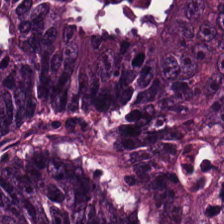Q: What tissue is shown?
A: Colorectal adenocarcinoma epithelium.
